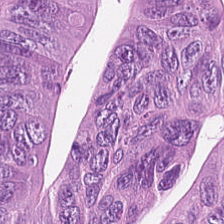H&E — malignant epithelium.
